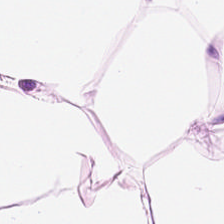H&E-stained tissue section. 224×224 px tile — Predominant tissue: adipose.
